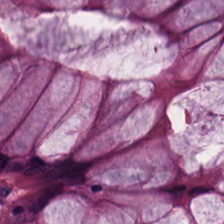0.5 microns per pixel; FFPE; H&E stain — Histology — normal colon mucosa.
